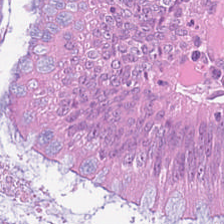H&E-stained tissue section.
The tissue here is colorectal adenocarcinoma epithelium.
